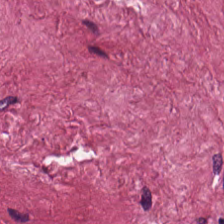Hematoxylin-and-eosin stained section · FFPE tissue section. Tissue: tumor-associated stroma.
